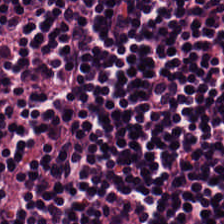H&E stain. The tissue here is lymphocytic infiltrate.
